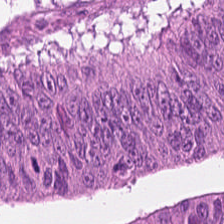Hematoxylin and eosin.
The predominant tissue is tumor epithelium.
